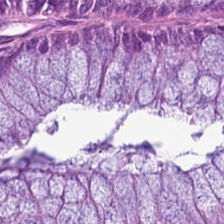FFPE tissue section; H&E — Normal colonic mucosa.
